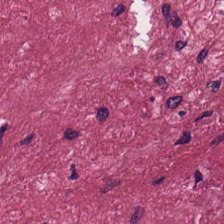Q: What is the predominant tissue type?
A: This is desmoplastic stroma.
